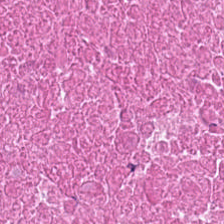H&E-stained tissue section — The tissue class is cellular debris.
